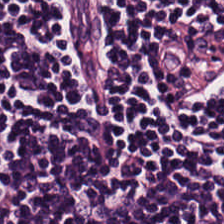Q: Classify this patch.
A: It is lymphocyte aggregate.
